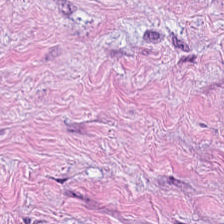0.5 microns per pixel. H&E stain — This patch shows desmoplastic stroma.
